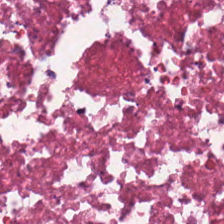Predominant tissue — necrotic debris.
